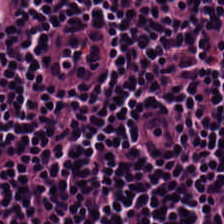Stain: hematoxylin-and-eosin stained section.
Acquisition: brightfield.
Tissue type: lymphocyte aggregate.
